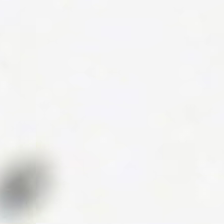H&E.
{"content": "empty background"}
